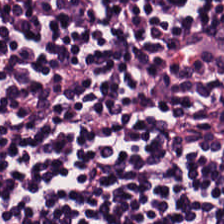Tissue type — lymphocyte aggregate.
